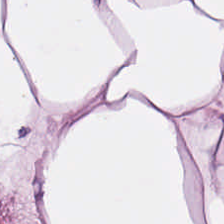FFPE · H&E stain — This patch shows fat tissue.
